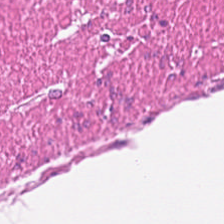H&E-stained tissue section. The predominant tissue is smooth muscle.
